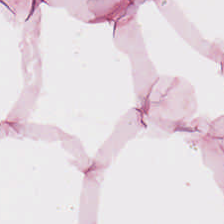20× equivalent magnification · H&E-stained tissue section — This field is fat tissue.
